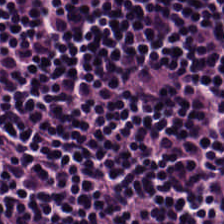H&E · FFPE tissue section — The tissue here is lymphocytic infiltrate.
